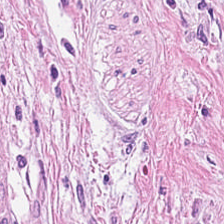H&E stain.
Predominant tissue = desmoplastic stroma.
